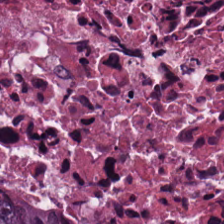Hematoxylin and eosin.
Predominant tissue — debris.
